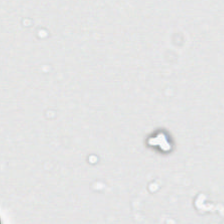H&E stain. Background.
